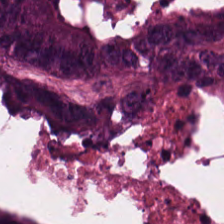H&E — Malignant epithelium.
